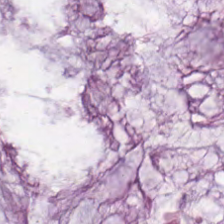H&E.
This patch shows mucus.
